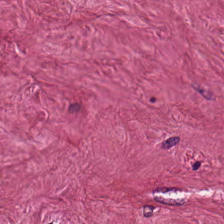Classification = desmoplastic stroma.
